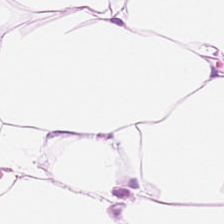Classification — adipocytes.
